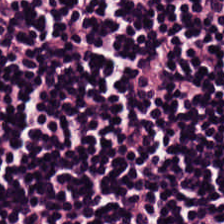H&E stain; 20× equivalent magnification.
Impression → lymphocyte aggregate.
